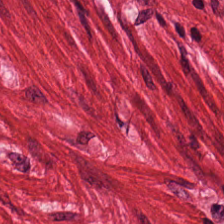H&E stain · WSI patch.
{"tissue_type": "smooth-muscle tissue"}
